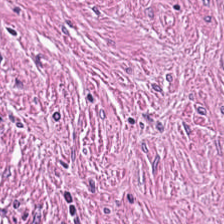H&E-stained tissue section · 0.5 µm/px — This field is tumor-associated stroma.
